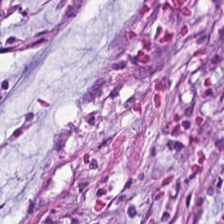224×224 pixel tile; hematoxylin-and-eosin stained section. Cancer-associated stroma.
